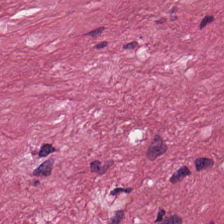Q: What tissue is shown?
A: Cancer-associated stroma.
